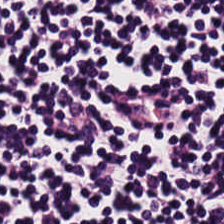Hematoxylin and eosin — Histology → lymphocytes.
